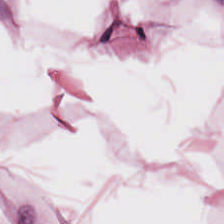The tissue is adipose tissue.
